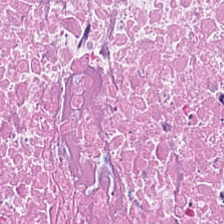224×224 pixel tile · hematoxylin-and-eosin stained section — Predominantly debris.
